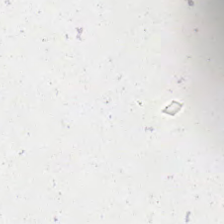H&E — Classification — background.
